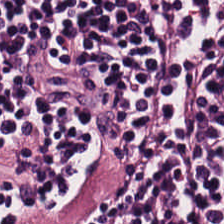FFPE tissue section; 224×224 px patch; H&E-stained tissue section.
Histology → lymphocyte aggregate.
